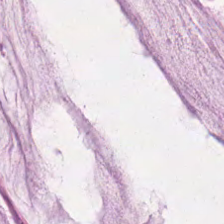Tissue: extracellular mucin.
